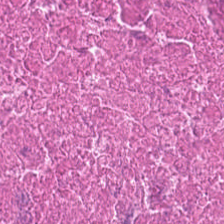Stain: H&E-stained tissue section.
Tissue: cellular debris.
